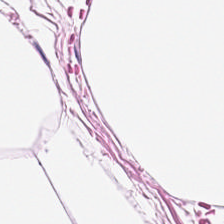The tissue here is adipocytes.
